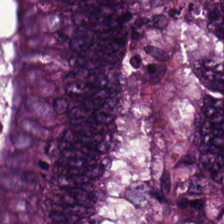224×224 pixel tile. Hematoxylin-and-eosin stained section. Q: What does this patch show?
A: This is adenocarcinoma.
